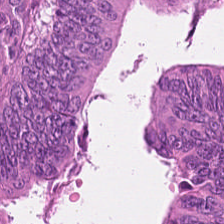Stain: H&E stain.
Tissue class: adenocarcinoma.
